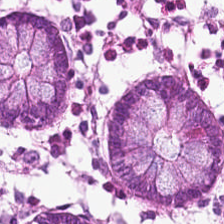20× equivalent magnification; FFPE; H&E-stained tissue section — Histology → non-neoplastic colon mucosa.
